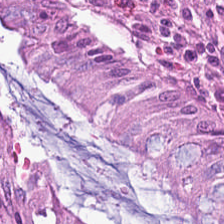Hematoxylin and eosin.
{"tissue_type": "normal colonic mucosa"}
